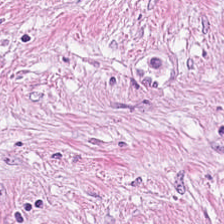H&E — The predominant tissue is desmoplastic stroma.
